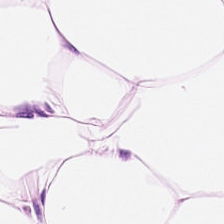Hematoxylin-and-eosin stained section. Brightfield microscopy — Adipocytes.
